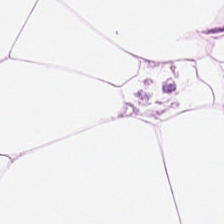Stain: H&E-stained tissue section.
Preparation: FFPE tissue section.
Predominant tissue: adipocytes.
